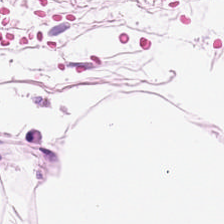Hematoxylin-and-eosin stained section. 224×224 px patch. 0.5 microns per pixel. Finding → fat tissue.
